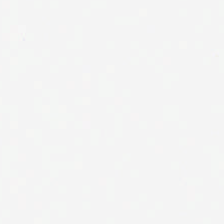Hematoxylin and eosin; 0.5 µm per pixel; 224×224 pixel tile. This field is background (no tissue).
